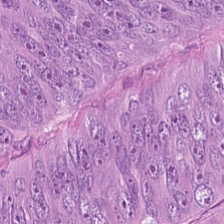Hematoxylin and eosin. Q: What is shown in this field?
A: This is colorectal adenocarcinoma.
